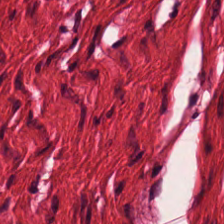The predominant tissue is smooth-muscle tissue.
